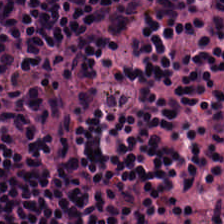H&E stain. Classification: lymphocyte aggregate.
